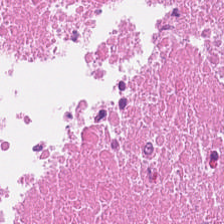Histology — cellular debris.
